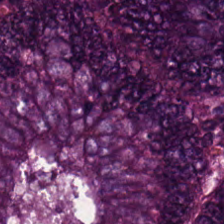Stain: H&E.
Tissue type: tumor epithelium.
